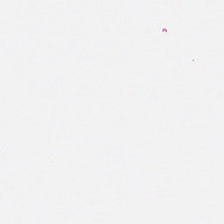H&E-stained tissue section. Histology — background.
